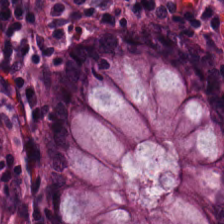Stain: hematoxylin-and-eosin stained section.
Tile size: 224×224 px patch.
Predominant tissue: normal colon mucosa.
